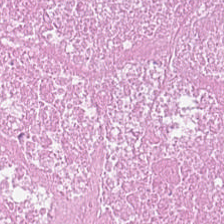Hematoxylin-and-eosin stained section. Predominant tissue: cellular debris.
